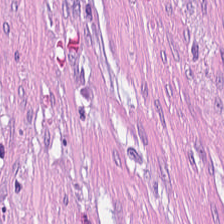Stain: hematoxylin-and-eosin stained section.
Tissue: tumor stroma.
